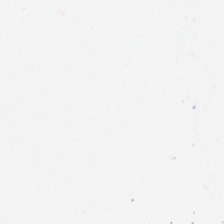Stain: H&E-stained tissue section.
Field content: empty background.
